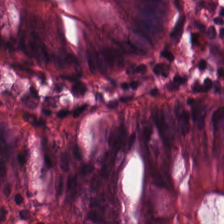Tissue class — non-neoplastic colon mucosa.
